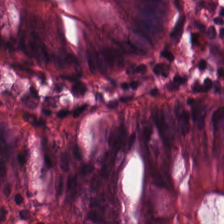Tissue class — non-neoplastic colon mucosa.
